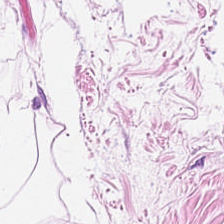0.5 µm per pixel · H&E stain · 224×224 pixel tile. Classification: adipose.
